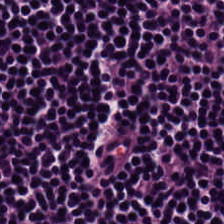Impression → lymphoid infiltrate.
